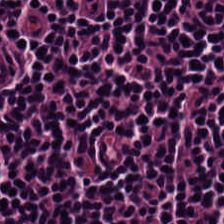H&E stain; 224×224 px tile.
The tissue here is lymphocyte aggregate.
